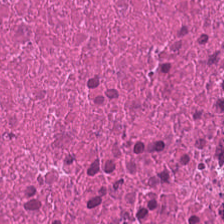0.5 µm per pixel; H&E; 224×224 pixel tile — Q: What tissue is shown?
A: It is debris.
